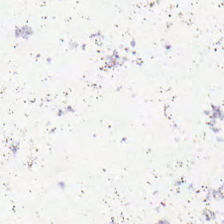Hematoxylin-and-eosin stained section.
Content: background.
